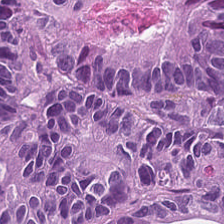Hematoxylin-and-eosin stained section — Classification = colorectal adenocarcinoma.
